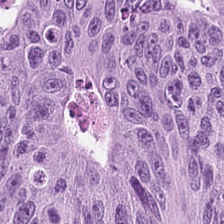H&E stain · 224×224 pixel tile. Tissue type: tumor epithelium.
